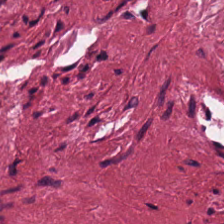H&E patch showing desmoplastic stroma.
